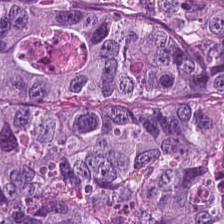Finding — adenocarcinoma.
